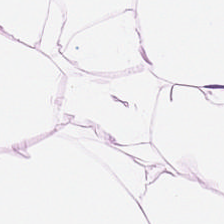0.5 microns per pixel. 224×224 px tile. Hematoxylin-and-eosin stained section. The predominant tissue is adipose.
